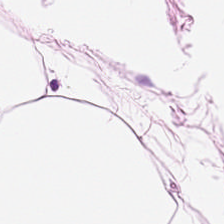224×224 px tile · hematoxylin and eosin.
Tissue type — adipose tissue.
